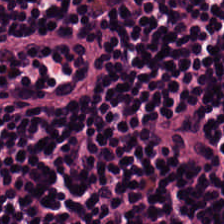Hematoxylin and eosin — Tissue class — lymphocyte aggregate.
